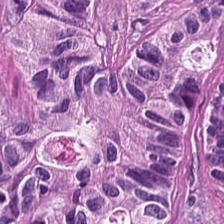H&E-stained tissue section. {"tissue_type": "tumor epithelium"}
